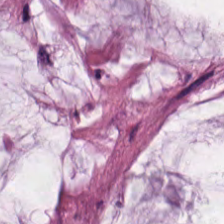H&E-stained tissue section — Showing extracellular mucin.
